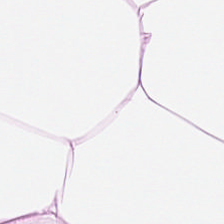224×224 px tile · H&E stain.
Tissue: adipose tissue.
